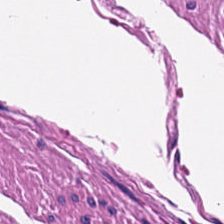H&E-stained tissue section.
Tissue type: muscularis.
